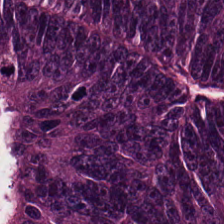Hematoxylin and eosin. The tissue class is adenocarcinoma.
